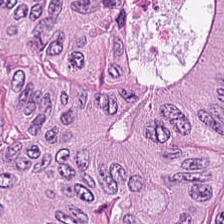Hematoxylin-and-eosin stained section. 224×224 px patch — Predominant tissue — malignant epithelium.
